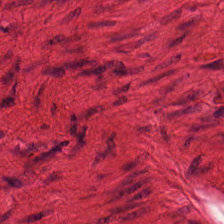0.5 µm/px; hematoxylin-and-eosin stained section.
Predominant tissue = smooth muscle.
